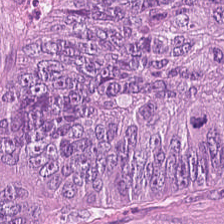H&E — The tissue is colorectal adenocarcinoma.
